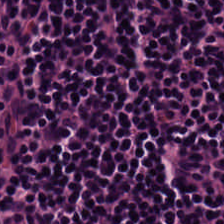Q: What tissue type is shown here?
A: It is lymphocyte aggregate.
